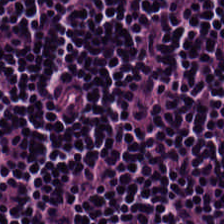Whole-slide-image patch; H&E; FFPE.
Lymphoid infiltrate.
